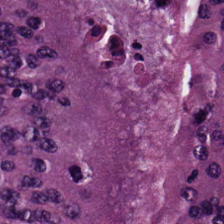224×224 px patch; WSI patch; H&E.
Colorectal adenocarcinoma epithelium.
